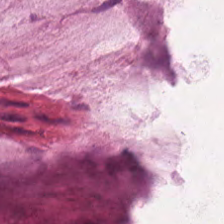H&E-stained tissue section — Q: Classify this patch.
A: This is mucin.
